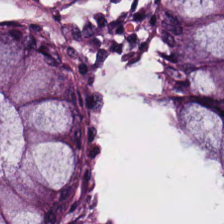Stain: H&E stain.
Classification: normal colon mucosa.
